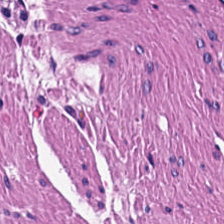{"tissue_type": "smooth-muscle tissue"}
